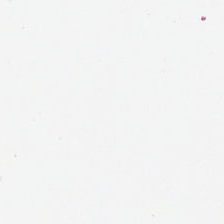H&E stain; 0.5 µm per pixel; formalin-fixed paraffin-embedded section — This patch shows no tissue.
